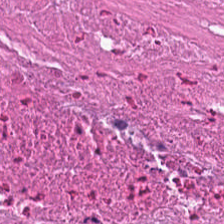Predominant tissue — debris.
